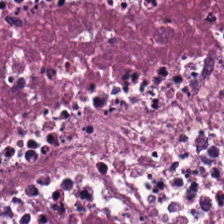Hematoxylin and eosin; 0.5 microns per pixel.
Q: What tissue is shown?
A: The field shows cellular debris.
